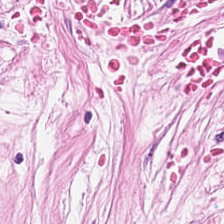FFPE tissue section · H&E — Tumor stroma.
